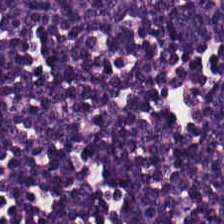H&E stain — The tissue here is lymphocytes.
